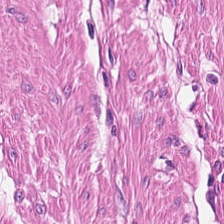0.5 µm/px. Brightfield. H&E-stained tissue section. Q: What tissue type is shown here?
A: It is muscularis.
